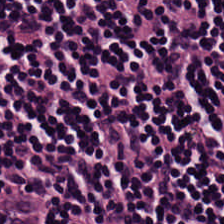Stain: H&E stain.
Preparation: FFPE.
Tissue class: lymphocyte aggregate.
